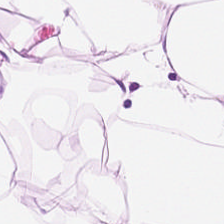Hematoxylin and eosin. Fat tissue.
